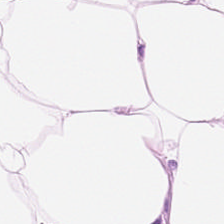H&E.
{"tissue_type": "adipose"}
